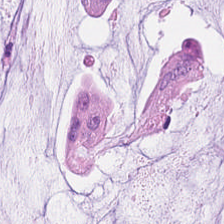Predominantly mucus.
